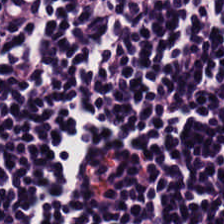Stain: H&E stain.
Tissue: lymphocytic infiltrate.
